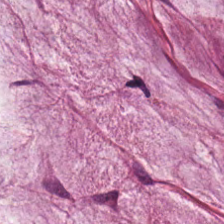H&E patch showing mucus.
